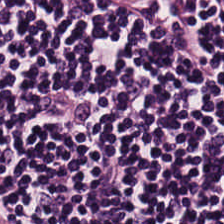FFPE tissue section; H&E stain — The tissue class is lymphocytic infiltrate.
